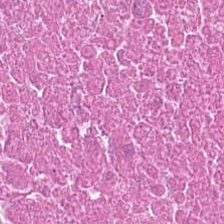H&E-stained tissue section.
Debris.
